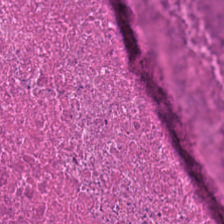Stain: hematoxylin-and-eosin stained section.
Predominant tissue: cellular debris.
